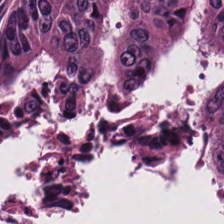H&E-stained tissue section; brightfield — This patch shows colorectal adenocarcinoma.
